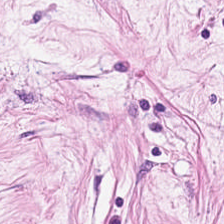Cancer-associated stroma.
